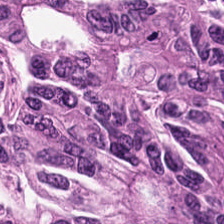FFPE; H&E-stained tissue section. Classification: tumor epithelium.
